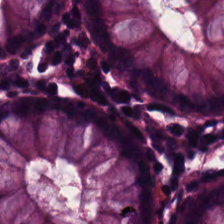Hematoxylin-and-eosin stained section. Finding — benign colonic mucosa.
